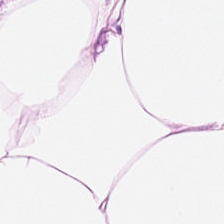224×224 pixel tile; FFPE; hematoxylin-and-eosin stained section.
Impression → adipocytes.
